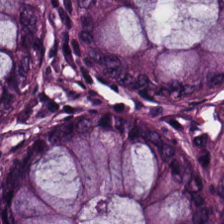Brightfield. H&E.
Q: What is shown here?
A: This is non-neoplastic colon mucosa.
